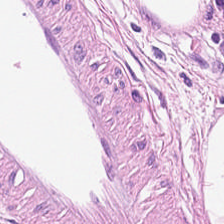Hematoxylin-and-eosin stained section; 0.5 µm per pixel; WSI patch.
Classification: adipocytes.
